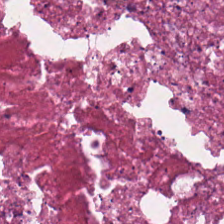The tissue here is necrotic debris.
